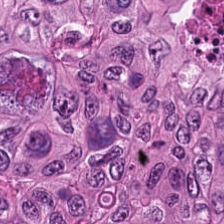H&E-stained tissue section.
The predominant tissue is colorectal adenocarcinoma epithelium.
